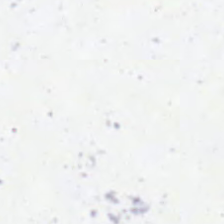Empty field — background (no tissue).
